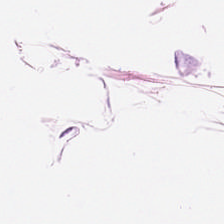H&E-stained tissue section.
Impression — adipocytes.
